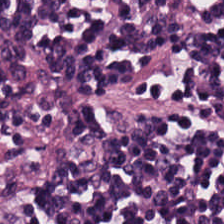Tissue: lymphocytic infiltrate.
